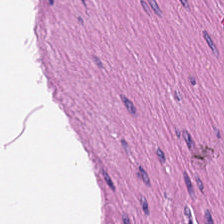Hematoxylin-and-eosin stained section — Predominant tissue — muscularis.
